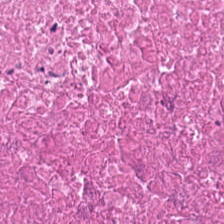H&E.
The predominant tissue is debris.
